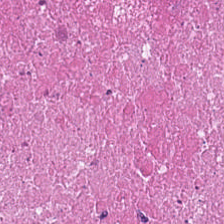Stain: hematoxylin and eosin.
Tissue type: cellular debris.
